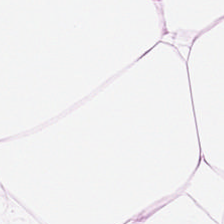Stain: H&E stain.
Tissue: adipose tissue.
